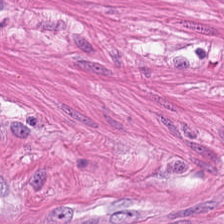WSI patch · hematoxylin-and-eosin stained section · 20× equivalent magnification — Q: Classify this patch.
A: The field shows muscularis.
